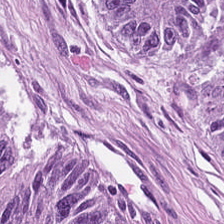This field is colorectal adenocarcinoma.
